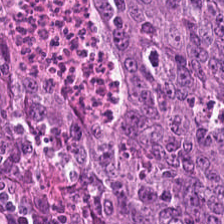Hematoxylin-and-eosin stained section.
This field is tumor epithelium.
